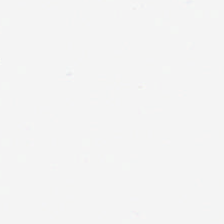H&E-stained tissue section.
Background (no tissue).
